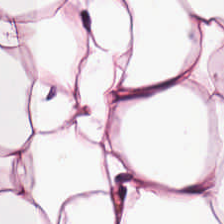224×224 px tile · hematoxylin-and-eosin stained section · brightfield. Tissue type — adipose.
